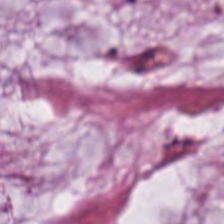Stain: hematoxylin and eosin.
Classification: mucus.
